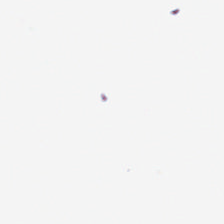Hematoxylin-and-eosin stained section — Impression — empty background.
